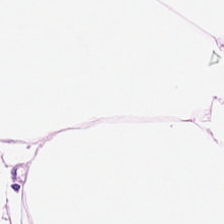H&E patch showing adipose.
